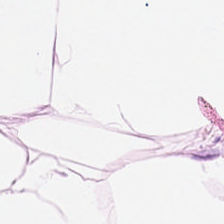Hematoxylin and eosin.
The predominant tissue is adipose.
